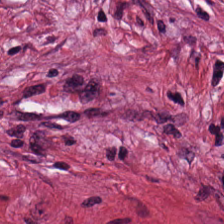Stain: H&E-stained tissue section.
Tissue: tumor stroma.
